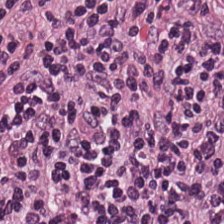0.5 microns per pixel · H&E · FFPE — Tissue type — lymphoid infiltrate.
